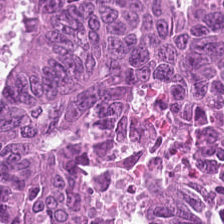Brightfield; H&E.
The tissue here is adenocarcinoma.
